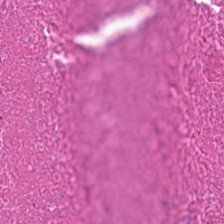H&E. 224×224 px tile.
Q: What is the predominant tissue type?
A: It is debris.
